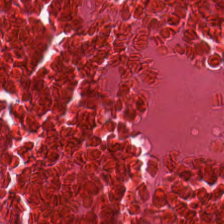Hematoxylin-and-eosin stained section — The predominant tissue is necrotic debris.
